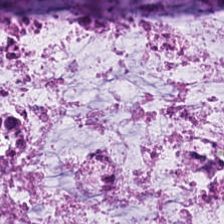H&E — Q: What is shown in this field?
A: This is extracellular mucin.
